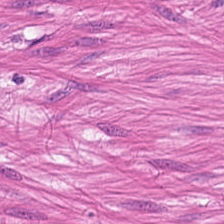Stain: H&E-stained tissue section.
Predominant tissue: smooth muscle.
